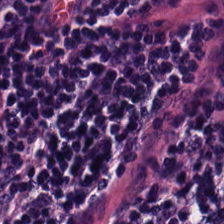Hematoxylin and eosin.
Q: What tissue type is shown here?
A: Lymphocytic infiltrate.
